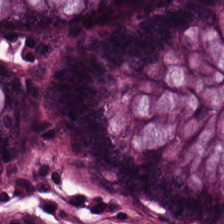Hematoxylin and eosin. FFPE — Normal colonic mucosa.
